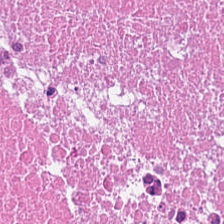H&E stain. The predominant tissue is debris.
